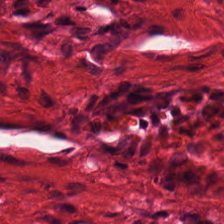Showing smooth muscle.
